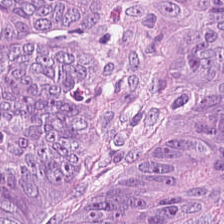H&E stain.
Q: What tissue type is shown here?
A: Colorectal adenocarcinoma epithelium.
